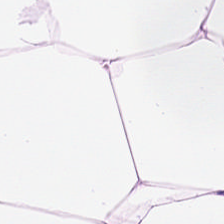H&E-stained section; the field shows fat tissue.
